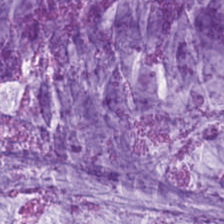FFPE. Hematoxylin and eosin — Mucin.
